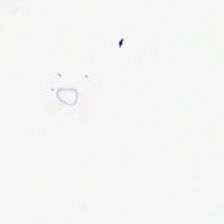224×224 px patch · hematoxylin-and-eosin stained section · WSI patch. No tissue present; background only.
